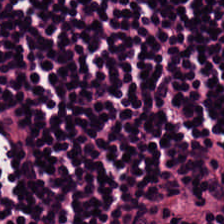Hematoxylin and eosin. Q: Classify this patch.
A: The field shows lymphocytic infiltrate.
